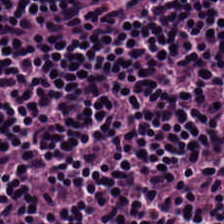0.5 microns per pixel. Brightfield microscopy. H&E. Predominant tissue — lymphocytic infiltrate.
